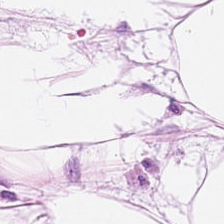224×224 px tile. Hematoxylin-and-eosin stained section.
Finding — adipocytes.
